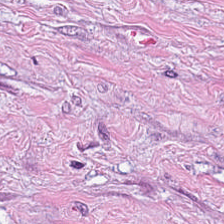This patch shows tumor-associated stroma.
